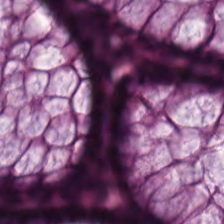H&E — Impression → benign colonic mucosa.
